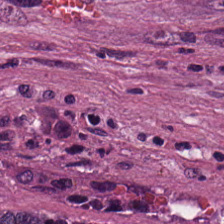224×224 pixel tile. 20× equivalent magnification. H&E — This field is desmoplastic stroma.
